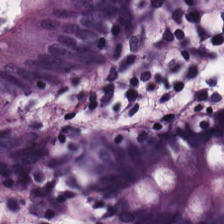The predominant tissue is non-neoplastic colon mucosa.
